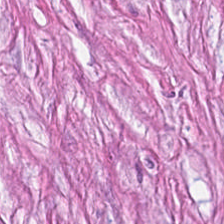WSI patch. H&E.
Tissue — cancer-associated stroma.
